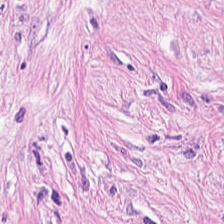Stain: H&E stain.
Tissue type: cancer-associated stroma.
